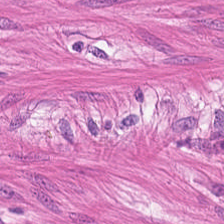Hematoxylin and eosin.
The predominant tissue is smooth muscle.
